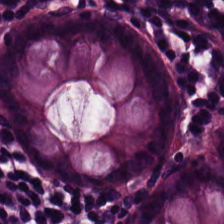224×224 px patch · H&E-stained tissue section — Predominant tissue: non-neoplastic colon mucosa.
